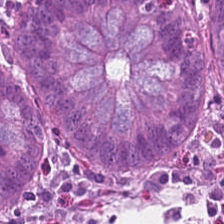FFPE tissue section; hematoxylin and eosin — The classification is benign colonic mucosa.
